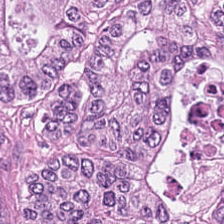Stain: H&E-stained tissue section.
Predominant tissue: colorectal adenocarcinoma epithelium.
